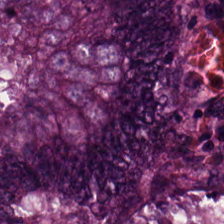H&E.
The predominant tissue is colorectal adenocarcinoma.
